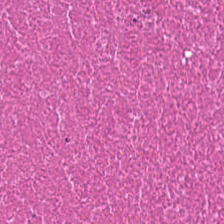H&E. Predominant tissue = cellular debris.
